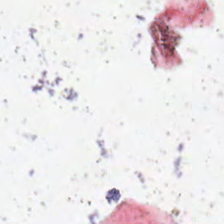0.5 microns per pixel; 224×224 px patch; hematoxylin and eosin. Content: background (no tissue).
